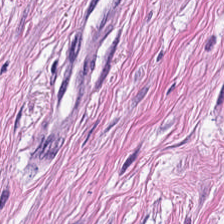WSI patch · hematoxylin-and-eosin stained section · formalin-fixed paraffin-embedded section.
The predominant tissue is smooth muscle.
